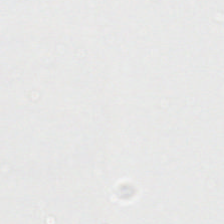Stain: H&E stain.
Preparation: FFPE tissue section.
Acquisition: brightfield.
Classification: empty background.
